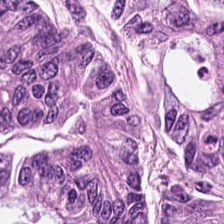H&E-stained tissue section. The predominant tissue is malignant epithelium.
